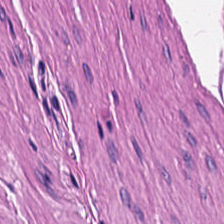Predominant tissue: muscularis.
